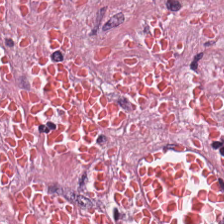H&E stain.
The tissue type is tumor stroma.
